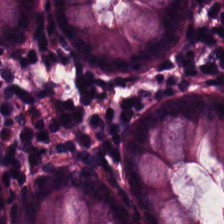Normal colonic mucosa.
